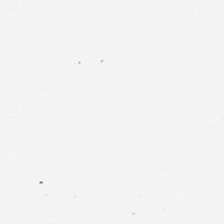Hematoxylin-and-eosin stained section. Field content = background.
